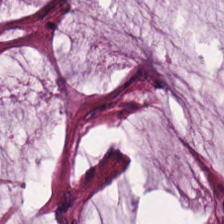Hematoxylin and eosin.
Tissue class — extracellular mucin.
